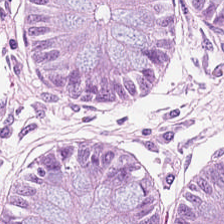H&E · 224×224 px tile. Predominantly non-neoplastic colon mucosa.
